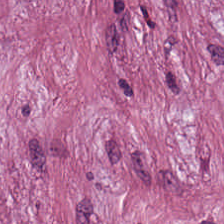0.5 µm per pixel. Whole-slide-image patch. H&E — Predominantly tumor-associated stroma.
